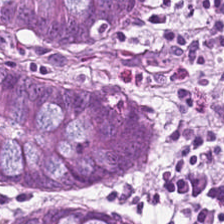H&E stain. Brightfield microscopy — Q: What tissue type is shown here?
A: It is normal colonic mucosa.
